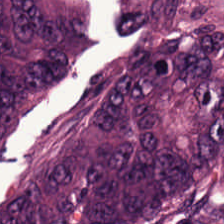H&E stain. Predominantly colorectal adenocarcinoma.
